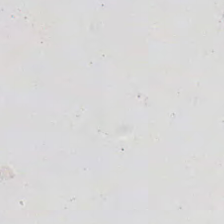Hematoxylin and eosin.
Background.
